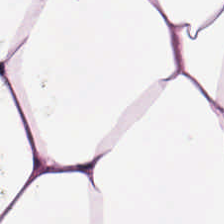Hematoxylin and eosin; 0.5 µm per pixel. Showing adipose tissue.
